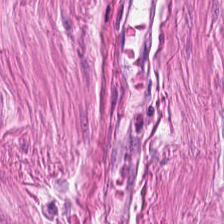Hematoxylin and eosin; 224×224 pixel tile — Showing smooth-muscle tissue.
